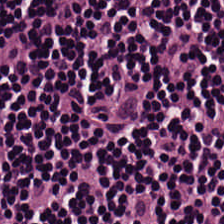H&E. 20× equivalent magnification.
Predominant tissue — lymphoid infiltrate.
